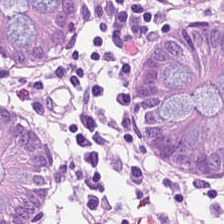H&E · 224×224 px tile. {"tissue_type": "normal colon mucosa"}
